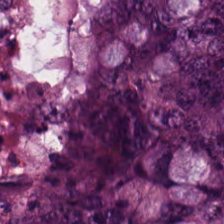224×224 px tile; H&E stain; 0.5 µm/px.
Tissue class = colorectal adenocarcinoma epithelium.
